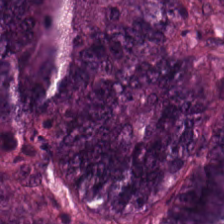H&E stain; WSI patch; 20× equivalent magnification — Tumor epithelium.
